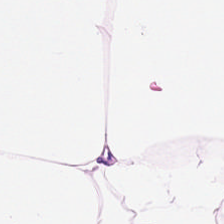Stain: hematoxylin-and-eosin stained section.
Tissue class: adipose tissue.
